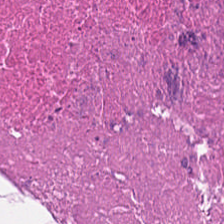Debris.
